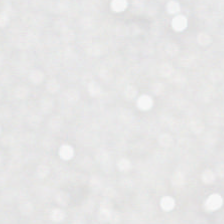WSI patch · hematoxylin-and-eosin stained section.
No tissue present; background only.
